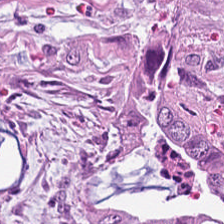Hematoxylin-and-eosin stained section.
Histology → tumor stroma.
